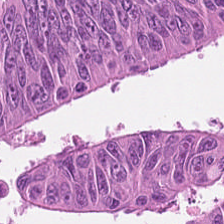Brightfield. 224×224 px patch. H&E-stained tissue section.
Predominantly colorectal adenocarcinoma.
